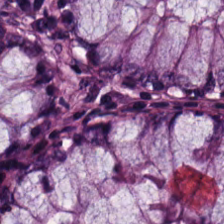Hematoxylin and eosin · 0.5 µm/px — Normal colonic mucosa.
